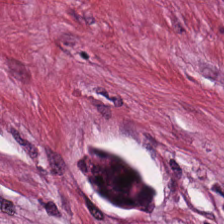H&E — desmoplastic stroma.
